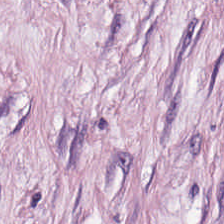The classification is cancer-associated stroma.
